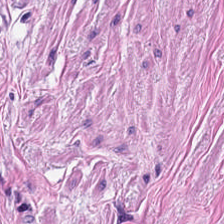Brightfield; 0.5 µm/px; H&E stain — This field is smooth-muscle tissue.
